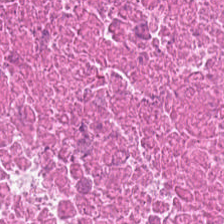H&E.
Tissue class — debris.
